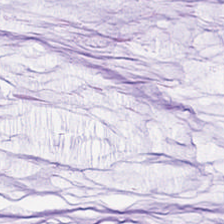H&E — mucus.
